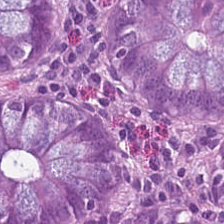Hematoxylin and eosin — Showing benign colonic mucosa.
